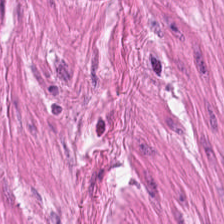Hematoxylin and eosin. Impression → muscularis.
